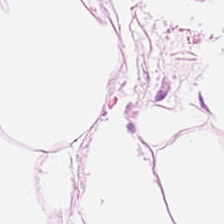Tissue type — adipose tissue.
